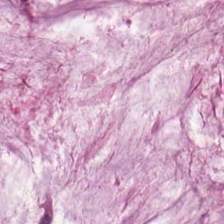H&E-stained tissue section showing extracellular mucin.
